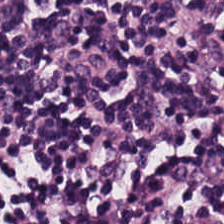Formalin-fixed paraffin-embedded section; hematoxylin and eosin — Classification — lymphoid infiltrate.
